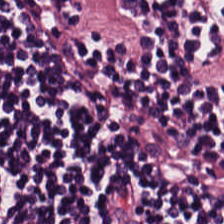WSI patch; H&E-stained tissue section; 224×224 px patch.
{"tissue_type": "lymphoid infiltrate"}
